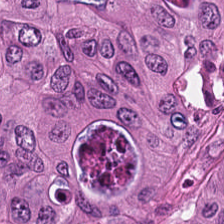Whole-slide-image patch. H&E-stained tissue section. Finding → colorectal adenocarcinoma epithelium.
